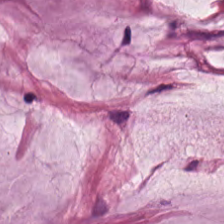Hematoxylin and eosin. Predominant tissue: mucus.
